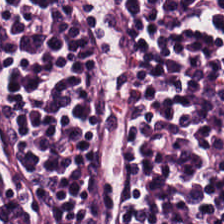H&E-stained tissue section. Histology → lymphocyte aggregate.
